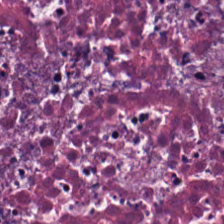H&E stain.
The tissue here is necrotic debris.
